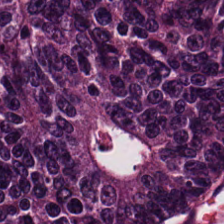H&E-stained tissue section showing tumor epithelium.
